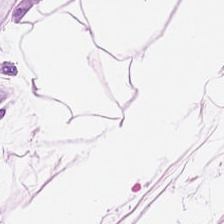Stain: hematoxylin and eosin.
Resolution: 0.5 µm/px.
Classification: adipose.
